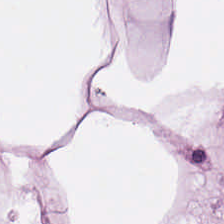H&E stain.
Showing adipose.
